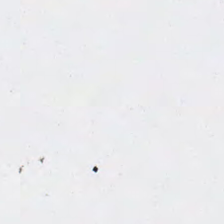H&E stain — Histology → background.
